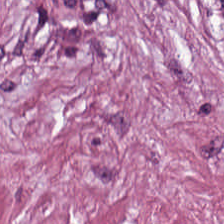Stain: hematoxylin and eosin.
Tissue class: tumor stroma.
